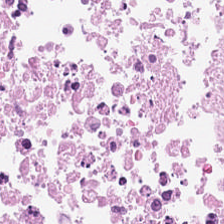0.5 µm per pixel · H&E stain — This field is cellular debris.
